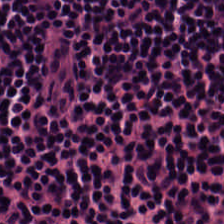H&E-stained tissue section. 0.5 µm/px. Predominantly lymphoid infiltrate.
